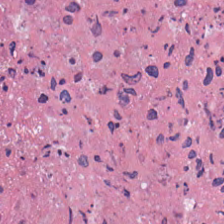Cellular debris.
